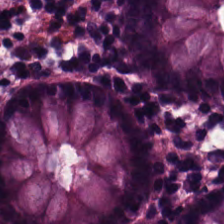Hematoxylin and eosin.
Normal colon mucosa.
